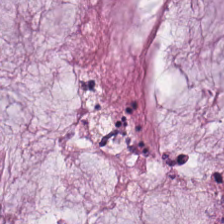H&E-stained tissue section. Tissue — mucus.
